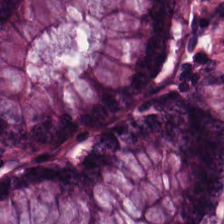0.5 µm/px · hematoxylin and eosin. Q: What is shown here?
A: The field shows normal colon mucosa.
